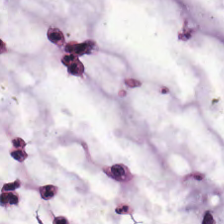The tissue here is mucin.
